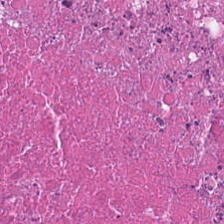Stain: hematoxylin and eosin.
Tissue: cellular debris.
